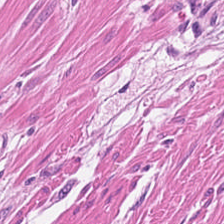Muscularis.
